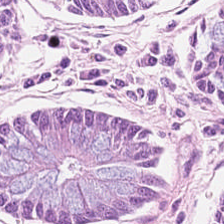Hematoxylin and eosin.
Classification: normal colonic mucosa.
